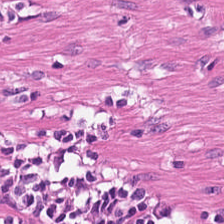H&E-stained tissue section.
{"tissue_type": "smooth-muscle tissue"}
